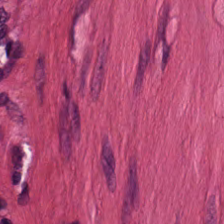H&E stain. Q: Classify this patch.
A: This is smooth-muscle tissue.
